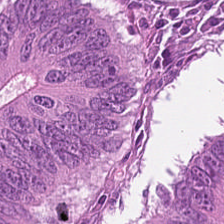Stain: H&E.
Tissue class: malignant epithelium.
